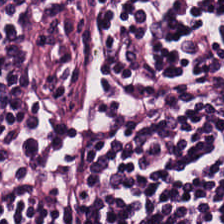Hematoxylin and eosin · 224×224 pixel tile.
Tissue — lymphocytic infiltrate.
